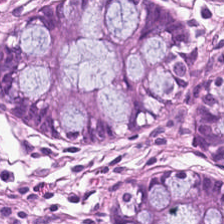H&E stain — Showing normal colonic mucosa.
